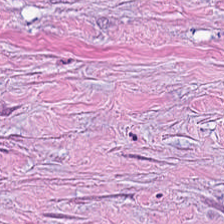FFPE; H&E-stained tissue section.
The predominant tissue is desmoplastic stroma.
